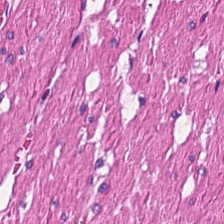Hematoxylin-and-eosin section: smooth muscle.
